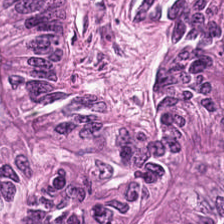H&E-stained tissue section.
This field is colorectal adenocarcinoma.
